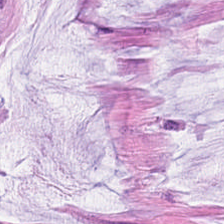Q: What is shown here?
A: Extracellular mucin.
